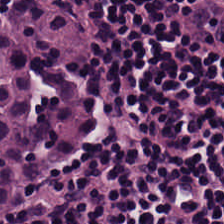Hematoxylin and eosin — This field is lymphoid infiltrate.
